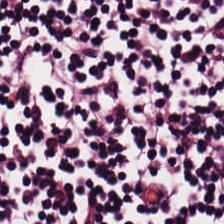Hematoxylin-and-eosin stained section — {"tissue_type": "lymphocyte aggregate"}
